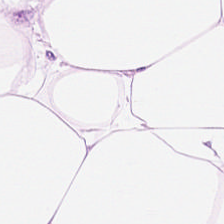Hematoxylin-and-eosin stained section — Tissue class = fat tissue.
